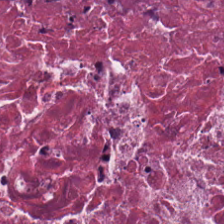Hematoxylin-and-eosin stained section.
The tissue here is cellular debris.
